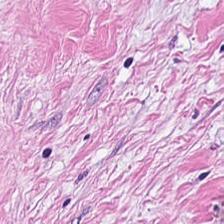FFPE · 224×224 px tile · hematoxylin-and-eosin stained section.
This patch shows desmoplastic stroma.
